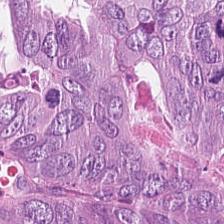H&E-stained tissue section. Finding — malignant epithelium.
